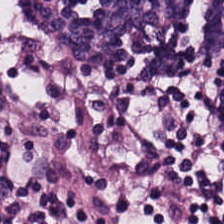FFPE · H&E stain.
Q: What type of tissue is this?
A: This is lymphoid infiltrate.
